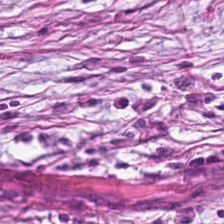Tissue: tumor-associated stroma.
